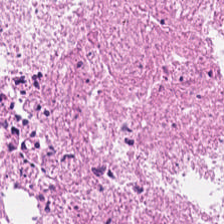Stain: H&E stain.
Tile size: 224×224 pixel tile.
Tissue: necrotic debris.
